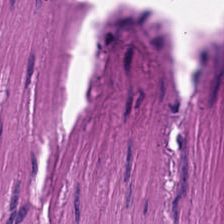224×224 pixel tile. Hematoxylin-and-eosin stained section.
The tissue here is muscularis.
